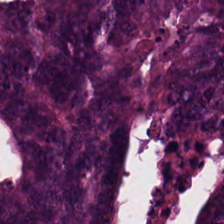Tissue — adenocarcinoma.
